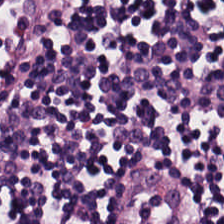Stain: hematoxylin-and-eosin stained section.
Tissue class: lymphocyte aggregate.
